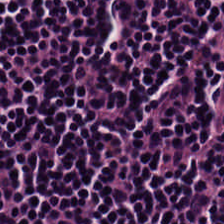Hematoxylin and eosin. This field is lymphoid infiltrate.
